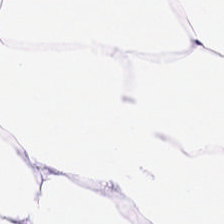H&E stain. Histology — adipocytes.
